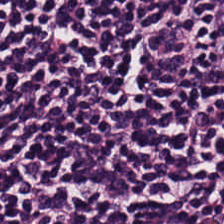Predominant tissue — lymphocytic infiltrate.
